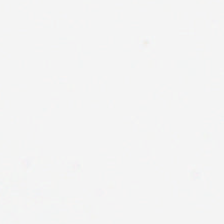H&E-stained tissue section · brightfield · 0.5 µm/px — Histology — empty background.
